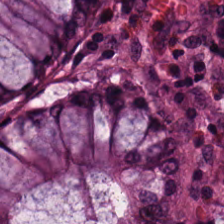Stain: hematoxylin-and-eosin stained section.
Tile size: 224×224 px tile.
Predominant tissue: normal colonic mucosa.
